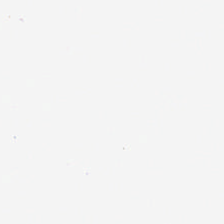Classification = background.
